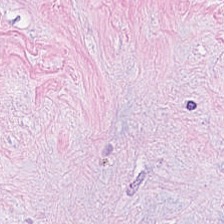H&E-stained tissue section; 224×224 px patch. Classification: desmoplastic stroma.
